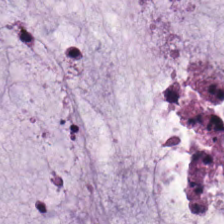FFPE tissue section. Hematoxylin and eosin — This patch shows mucin.
